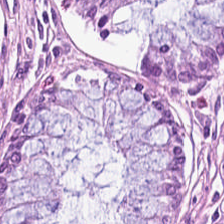Hematoxylin-and-eosin stained section. Tissue class: normal colonic mucosa.
